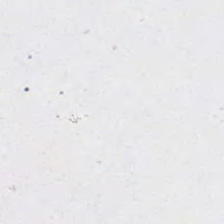Stain: hematoxylin-and-eosin stained section.
Content: background (no tissue).
